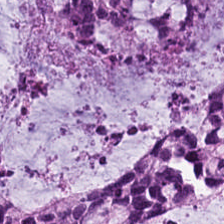Hematoxylin-and-eosin stained section — This field is extracellular mucin.
